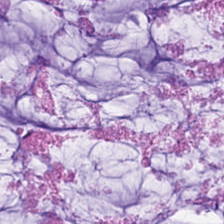H&E.
Q: What is the predominant tissue type?
A: The field shows mucin.
